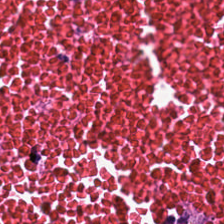Hematoxylin-and-eosin section: necrotic debris.
